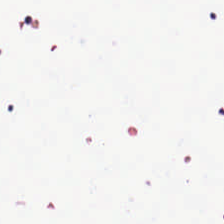H&E — Empty background.
